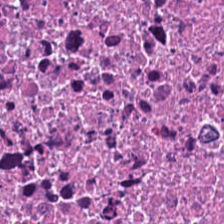Hematoxylin-and-eosin stained section. Impression → necrotic debris.
